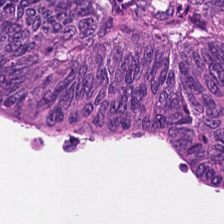H&E-stained tissue section.
Q: What tissue is shown?
A: The field shows colorectal adenocarcinoma.
